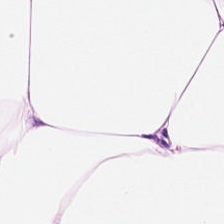H&E-stained tissue section.
Adipose.
